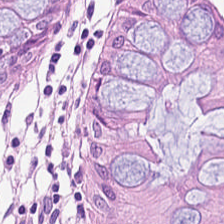FFPE; hematoxylin and eosin.
Non-neoplastic colon mucosa.
